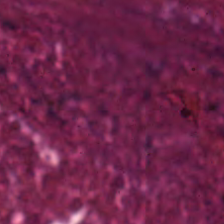Stain: H&E stain.
Resolution: 0.5 µm per pixel.
Classification: cellular debris.
